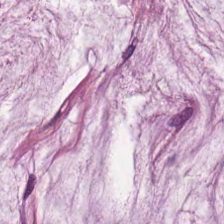Hematoxylin-and-eosin stained section — {"tissue_type": "mucus"}
